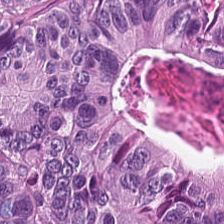The predominant tissue is adenocarcinoma.
